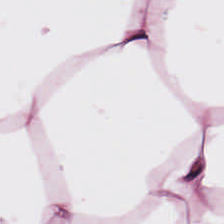Hematoxylin-and-eosin stained section — Histology → adipose tissue.
